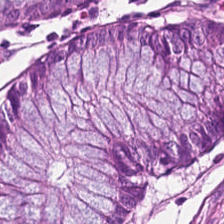FFPE tissue section · H&E stain — This patch shows non-neoplastic colon mucosa.
